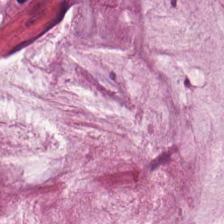H&E-stained tissue section.
The predominant tissue is mucin.
